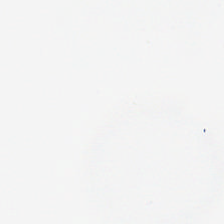{"content": "empty background"}
